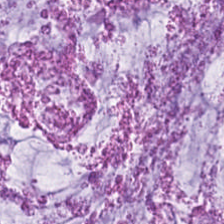Hematoxylin-and-eosin stained section · 224×224 pixel tile — The tissue type is extracellular mucin.
